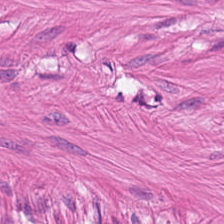Q: What does this patch show?
A: It is smooth-muscle tissue.
